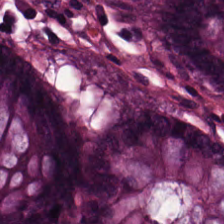Histology — normal colonic mucosa.
